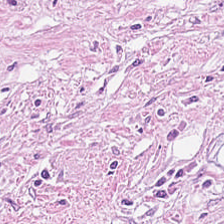The tissue class is desmoplastic stroma.
